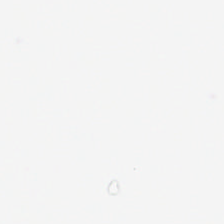Hematoxylin-and-eosin stained section — Impression — empty background.
